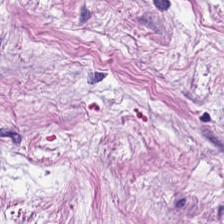The tissue is desmoplastic stroma.
